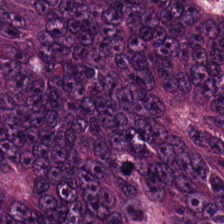Whole-slide-image patch. H&E-stained tissue section. Finding → colorectal adenocarcinoma.
